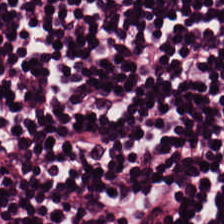H&E.
Q: What does this patch show?
A: This is lymphocytes.
